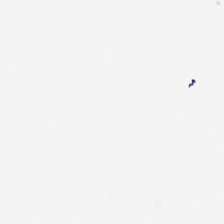Content = background (no tissue).
